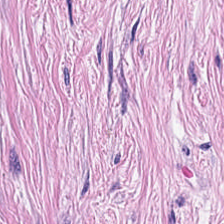Stain: H&E.
Resolution: 0.5 µm per pixel.
Classification: desmoplastic stroma.
